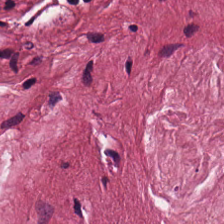Stain: H&E.
Tissue class: tumor-associated stroma.
